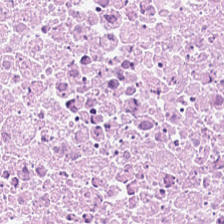FFPE; H&E stain; brightfield.
Classification = debris.
